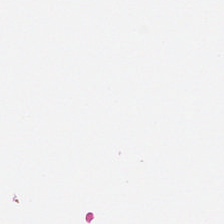H&E. Q: What does this patch show?
A: Empty background.
